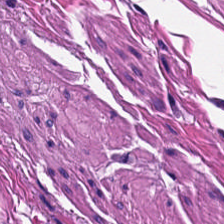H&E-stained tissue section.
Predominantly smooth-muscle tissue.
